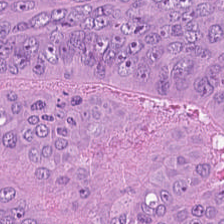H&E-stained tissue section. Showing tumor epithelium.
